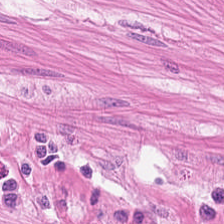Stain: hematoxylin-and-eosin stained section.
Resolution: 0.5 µm per pixel.
Tile size: 224×224 px patch.
Tissue type: muscularis.
